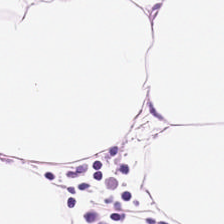Hematoxylin and eosin · 224×224 px patch — {"tissue_type": "fat tissue"}
